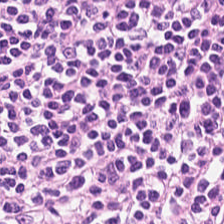Hematoxylin-and-eosin stained section.
Q: Classify this patch.
A: This is lymphocytic infiltrate.
